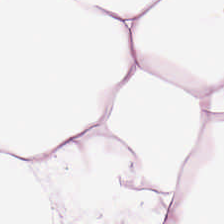H&E stain; 0.5 µm/px — This field is adipose.
